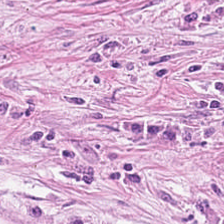H&E stain · 20× equivalent magnification · formalin-fixed paraffin-embedded section — Impression — desmoplastic stroma.
